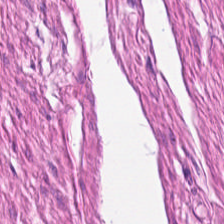H&E-stained tissue section. 0.5 µm per pixel — Q: What is shown in this field?
A: It is muscularis.
